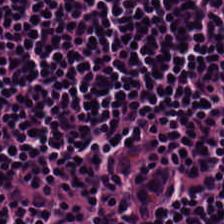Hematoxylin and eosin; 20× equivalent magnification; 224×224 pixel tile.
Tissue type — lymphocyte aggregate.
